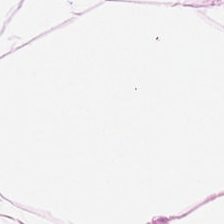H&E. 224×224 px tile.
Predominantly adipocytes.
